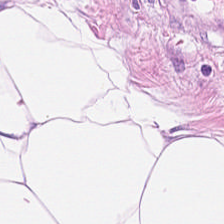H&E. Adipose tissue.
